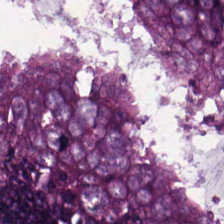H&E. {"tissue_type": "colorectal adenocarcinoma epithelium"}
